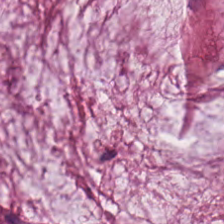224×224 px tile · hematoxylin-and-eosin stained section. The predominant tissue is mucin.
